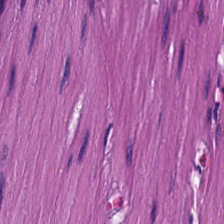H&E. Formalin-fixed paraffin-embedded section.
Q: Classify this patch.
A: Smooth-muscle tissue.
